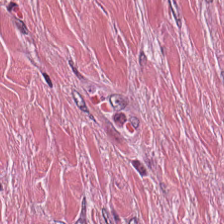Stain: hematoxylin and eosin.
Preparation: FFPE.
Tissue type: tumor-associated stroma.
